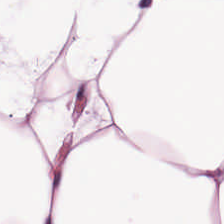Hematoxylin-and-eosin stained section. Classification = adipose.
